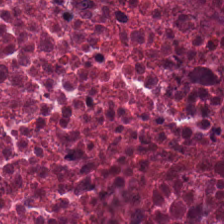H&E stain. 224×224 px patch. Q: What does this patch show?
A: Necrotic debris.
